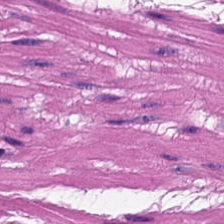Stain: H&E.
Tissue type: smooth muscle.
